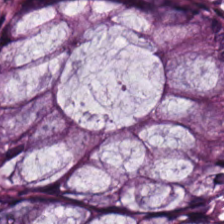Brightfield · H&E · 224×224 pixel tile. Predominant tissue — benign colonic mucosa.
